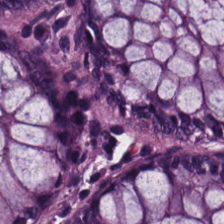H&E.
This patch shows non-neoplastic colon mucosa.
